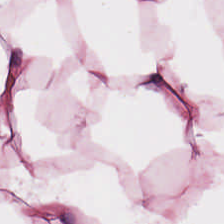H&E-stained tissue section.
Showing adipose.
